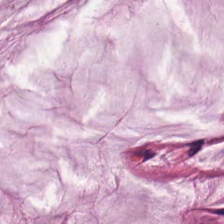{"tissue_type": "mucin"}
